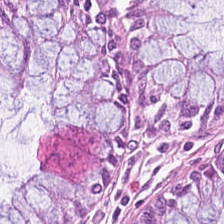The predominant tissue is non-neoplastic colon mucosa.
